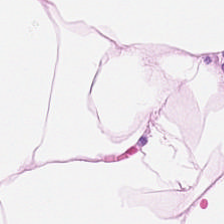H&E-stained tissue section. Showing fat tissue.
